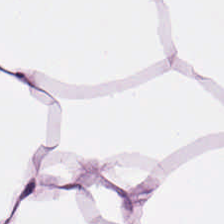Hematoxylin and eosin. The tissue is adipose tissue.
